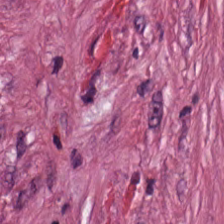20× equivalent magnification. H&E-stained tissue section.
Q: What tissue is shown?
A: Desmoplastic stroma.
